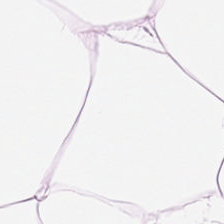Hematoxylin and eosin.
The predominant tissue is adipocytes.
